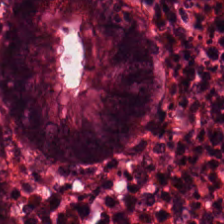Finding — normal colonic mucosa.
